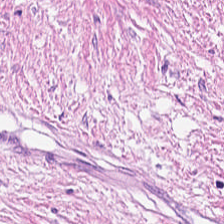0.5 µm/px; hematoxylin-and-eosin stained section — Predominant tissue = tumor-associated stroma.
